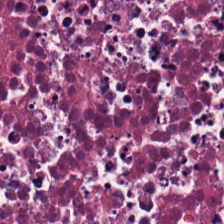Q: Classify this patch.
A: This is debris.
